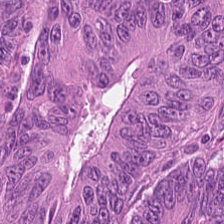Stain: H&E stain.
Preparation: FFPE.
Acquisition: brightfield microscopy.
Tissue: colorectal adenocarcinoma.
